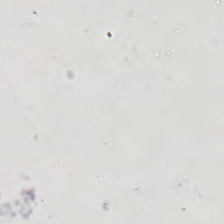Stain: hematoxylin and eosin.
Content: background.
